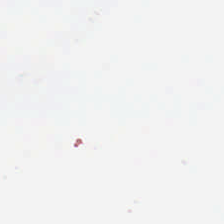H&E-stained tissue section; 224×224 px patch — Finding — background (no tissue).
